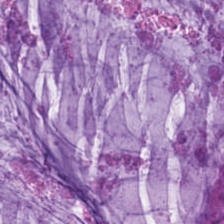Stain: hematoxylin and eosin.
Classification: extracellular mucin.
